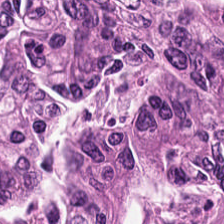H&E — Tissue: adenocarcinoma.
